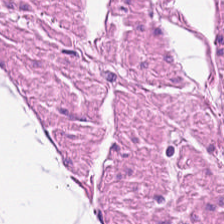The tissue type is smooth muscle.
